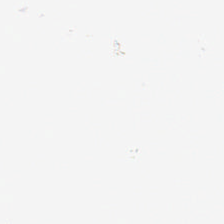Stain: H&E-stained tissue section.
Resolution: 20× equivalent magnification.
Preparation: FFPE tissue section.
Field content: background.
